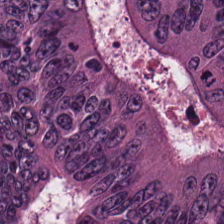H&E stain. Colorectal adenocarcinoma epithelium.
